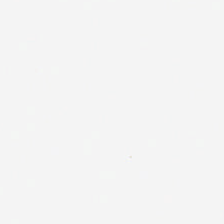{"content": "no tissue"}
